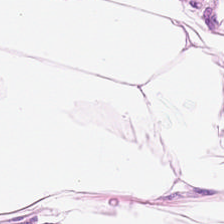H&E-stained tissue section. Q: What does this patch show?
A: This is adipose.
